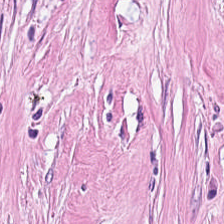Stain: H&E.
Tissue: tumor stroma.
